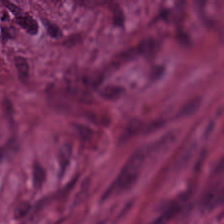Stain: hematoxylin and eosin.
Preparation: FFPE tissue section.
Tissue class: desmoplastic stroma.
